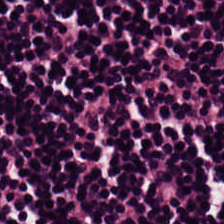Brightfield. Hematoxylin and eosin — Showing lymphocytic infiltrate.
